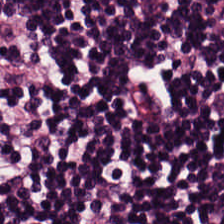Tissue type: lymphocyte aggregate.
